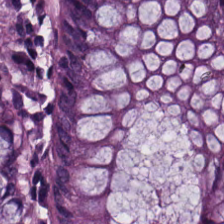Stain: H&E.
Tissue: benign colonic mucosa.
